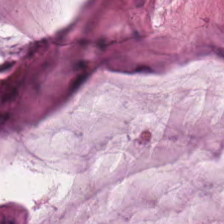Q: What tissue type is shown here?
A: This is extracellular mucin.
